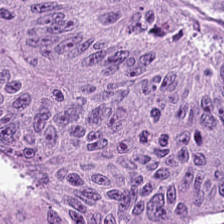H&E stain.
{"tissue_type": "tumor epithelium"}
